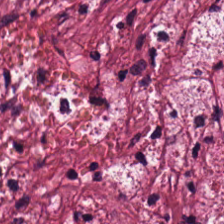{"tissue_type": "desmoplastic stroma"}
